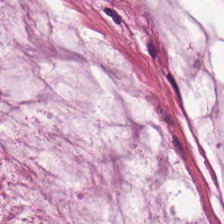H&E stain. FFPE. Showing mucus.
